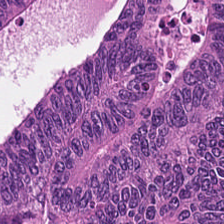H&E. 224×224 pixel tile. Brightfield microscopy — Impression → adenocarcinoma.
